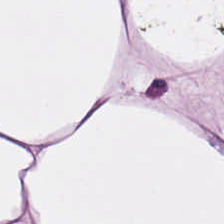Predominant tissue: adipocytes.
